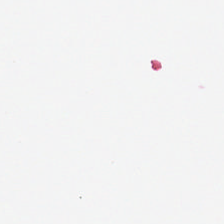H&E-stained tissue section · brightfield microscopy — This patch shows background.
